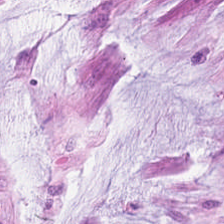H&E-stained tissue section. Impression → extracellular mucin.
